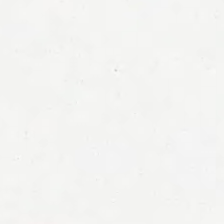224×224 pixel tile · H&E stain. Q: Classify this patch.
A: It is background.
